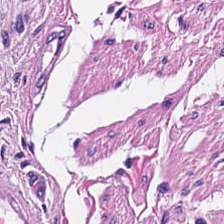Brightfield microscopy · hematoxylin and eosin — This field is smooth-muscle tissue.
